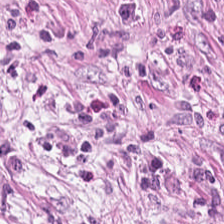Classification = cancer-associated stroma.
